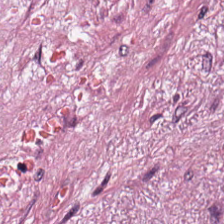Tissue class = tumor stroma.
